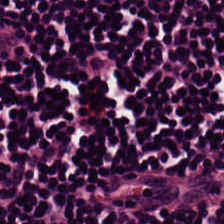H&E · 224×224 px tile · 0.5 µm/px. The predominant tissue is lymphocyte aggregate.
